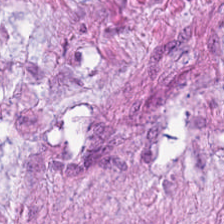0.5 µm per pixel · H&E stain — The classification is smooth-muscle tissue.
